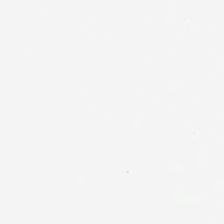FFPE tissue section; 20× equivalent magnification; hematoxylin-and-eosin stained section.
Classification — empty background.
